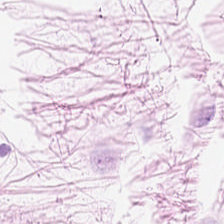H&E. Whole-slide-image patch. The predominant tissue is fat tissue.
